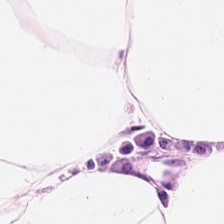The predominant tissue is adipocytes.
